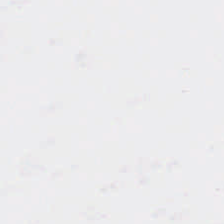Formalin-fixed paraffin-embedded section; hematoxylin and eosin — No tissue.
